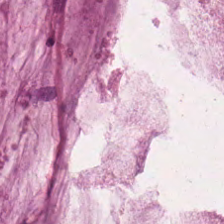Formalin-fixed paraffin-embedded section · WSI patch · hematoxylin-and-eosin stained section — This patch shows extracellular mucin.
